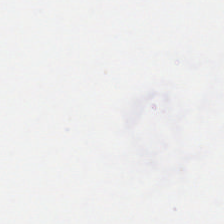H&E stain — This patch shows background (no tissue).
